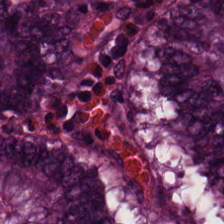Predominantly non-neoplastic colon mucosa.
